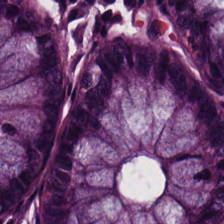This patch shows non-neoplastic colon mucosa.
